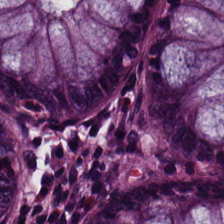Brightfield microscopy · hematoxylin-and-eosin stained section · 224×224 px tile — The tissue here is normal colon mucosa.
